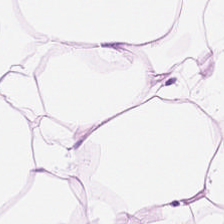Hematoxylin-and-eosin stained section. Q: What is shown in this field?
A: This is fat tissue.
